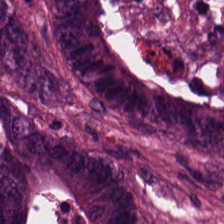Hematoxylin-and-eosin stained section.
The predominant tissue is tumor epithelium.
